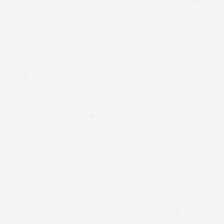Field content: background.
